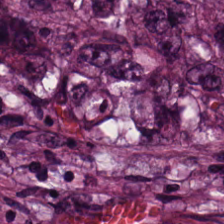H&E stain. Tissue type: colorectal adenocarcinoma epithelium.
